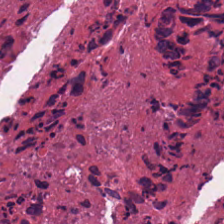H&E. FFPE.
Tissue — cellular debris.
